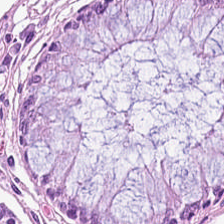Histology → non-neoplastic colon mucosa.
